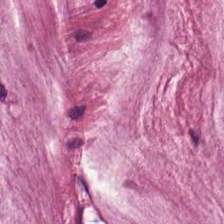Stain: H&E-stained tissue section.
Tissue: mucus.
